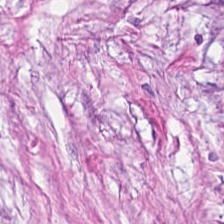H&E; brightfield microscopy — Predominantly tumor stroma.
